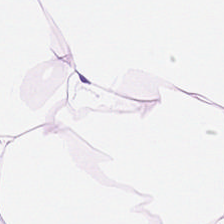Hematoxylin-and-eosin section: adipocytes.
